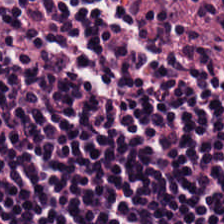Hematoxylin and eosin.
The classification is lymphocyte aggregate.
